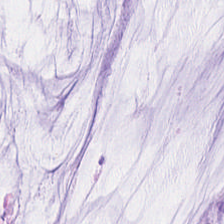Brightfield microscopy · 20× equivalent magnification · hematoxylin and eosin — Extracellular mucin.
